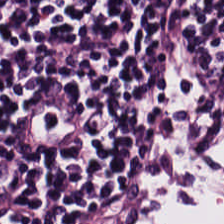H&E-stained tissue section.
Q: What is the predominant tissue type?
A: This is lymphoid infiltrate.
